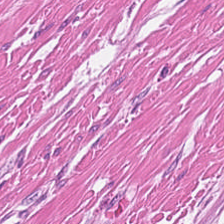Hematoxylin-and-eosin stained section · 224×224 px patch. Tissue: muscularis.
